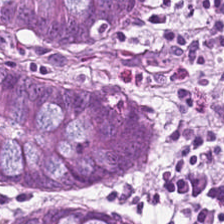224×224 px patch; hematoxylin and eosin; FFPE tissue section. Q: What does this patch show?
A: It is normal colonic mucosa.
